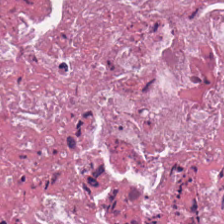WSI patch · H&E — Tissue class = necrotic debris.
